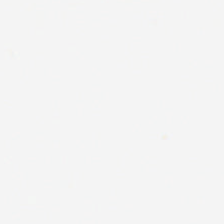Stain: H&E.
Resolution: 0.5 µm per pixel.
Field content: no tissue.
